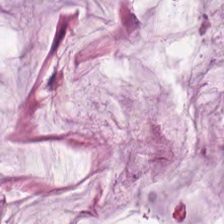Whole-slide-image patch; 20× equivalent magnification; hematoxylin-and-eosin stained section. Tissue type — extracellular mucin.
